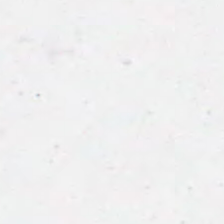Brightfield microscopy · H&E stain — Content: no tissue.
